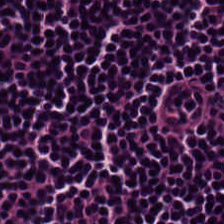0.5 µm per pixel; hematoxylin and eosin — The tissue is lymphocyte aggregate.
